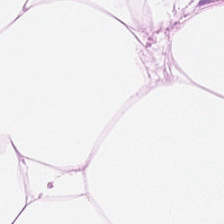{"tissue_type": "adipose tissue"}
